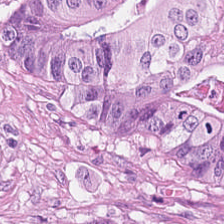Q: What tissue is shown?
A: The field shows malignant epithelium.
